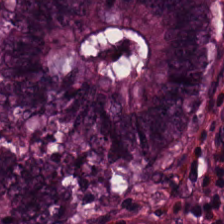Stain: H&E stain.
Preparation: FFPE.
Predominant tissue: normal colonic mucosa.
